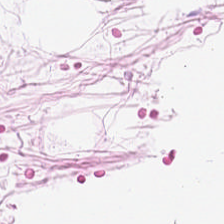Stain: hematoxylin and eosin.
Classification: fat tissue.
